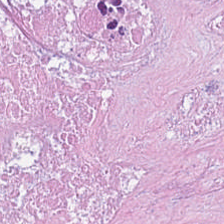H&E-stained tissue section.
Histology — debris.
